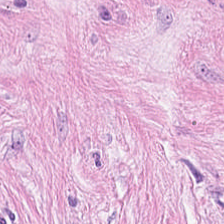H&E-stained section; the field shows desmoplastic stroma.
